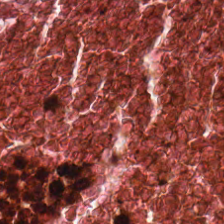Stain: hematoxylin and eosin.
Tissue: cellular debris.
